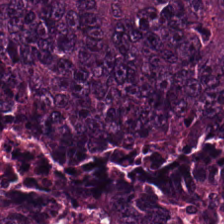0.5 µm/px. Brightfield. H&E. This patch shows colorectal adenocarcinoma epithelium.
